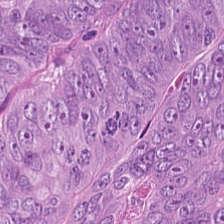Hematoxylin-and-eosin stained section.
This field is tumor epithelium.
